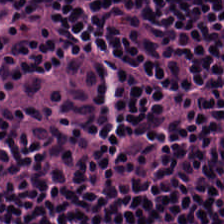H&E stain — Tissue class — lymphocytic infiltrate.
